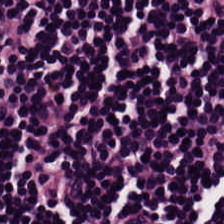Tissue type: lymphoid infiltrate.
